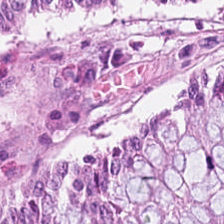Classification = non-neoplastic colon mucosa.
